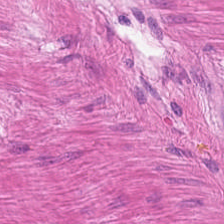Hematoxylin and eosin; 0.5 µm per pixel; FFPE tissue section — Tissue type: smooth muscle.
